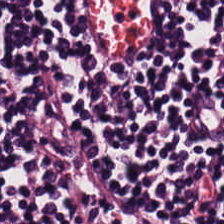Hematoxylin and eosin — Showing lymphoid infiltrate.
